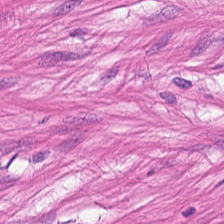Hematoxylin-and-eosin stained section. Finding — smooth-muscle tissue.
